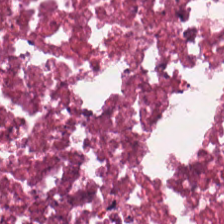Stain: H&E-stained tissue section.
Predominant tissue: debris.
